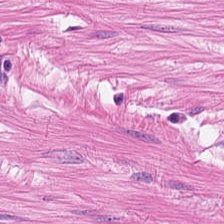H&E-stained tissue section.
Q: What tissue type is shown here?
A: It is muscularis.
